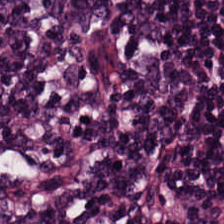Tissue type = lymphocytic infiltrate.
